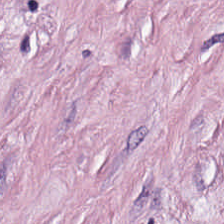Hematoxylin-and-eosin section: cancer-associated stroma.
